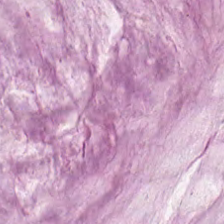H&E patch showing extracellular mucin.
